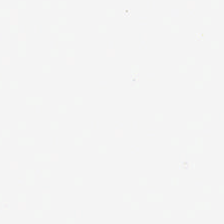Hematoxylin and eosin · 224×224 px tile — This patch shows background.
